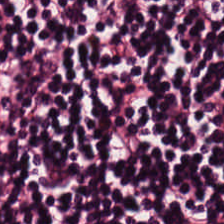Hematoxylin and eosin; 0.5 µm/px — Showing lymphoid infiltrate.
